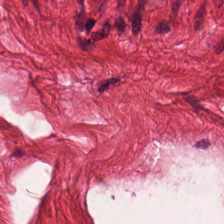The tissue class is smooth-muscle tissue.
